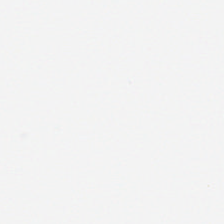Hematoxylin-and-eosin stained section — Q: What is shown here?
A: The field shows no tissue.
